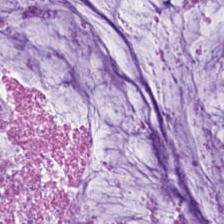Stain: hematoxylin-and-eosin stained section.
Resolution: 20× equivalent magnification.
Tissue: mucus.
